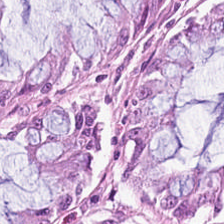The tissue here is non-neoplastic colon mucosa.
